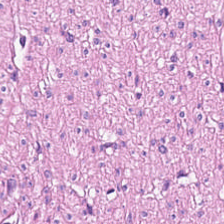0.5 µm/px · H&E-stained tissue section.
Smooth muscle.
